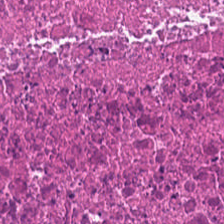224×224 px tile; hematoxylin and eosin. Histology → cellular debris.
